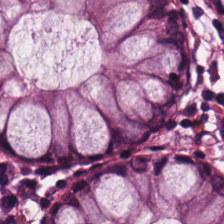WSI patch · hematoxylin-and-eosin stained section — Finding — benign colonic mucosa.
